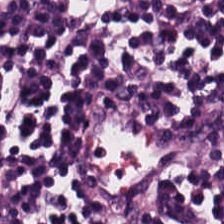Hematoxylin-and-eosin stained section.
Finding → lymphocyte aggregate.
